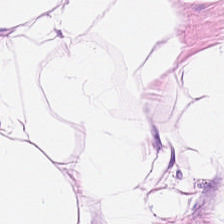H&E-stained tissue section; 224×224 pixel tile — Q: What is shown here?
A: Adipose tissue.
